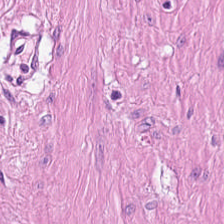WSI patch · hematoxylin-and-eosin stained section.
Showing muscularis.
